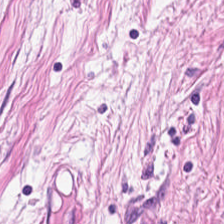Stain: hematoxylin-and-eosin stained section.
Predominant tissue: desmoplastic stroma.
